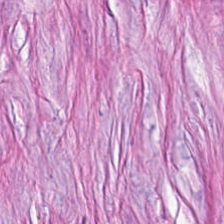H&E stain; 224×224 pixel tile. The tissue class is desmoplastic stroma.
